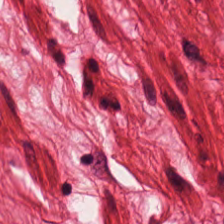Hematoxylin-and-eosin stained section. 224×224 px tile. FFPE.
Tissue class = muscularis.
